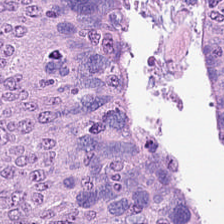{"tissue_type": "adenocarcinoma"}
